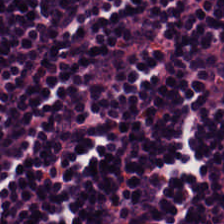224×224 px patch. H&E-stained tissue section — Predominantly lymphocytes.
